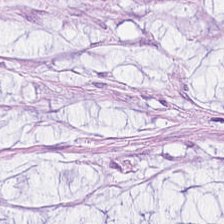0.5 µm per pixel; hematoxylin-and-eosin stained section.
The tissue here is mucin.
